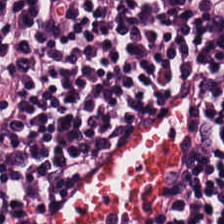H&E · formalin-fixed paraffin-embedded section.
This patch shows lymphocyte aggregate.
